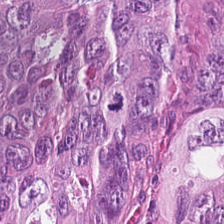Stain: hematoxylin-and-eosin stained section.
Resolution: 0.5 µm/px.
Tile size: 224×224 px tile.
Tissue: tumor epithelium.
